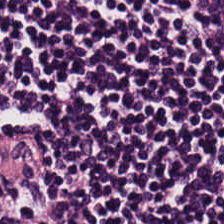The classification is lymphocytic infiltrate.
